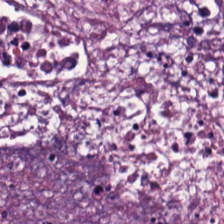Hematoxylin and eosin — The predominant tissue is cellular debris.
